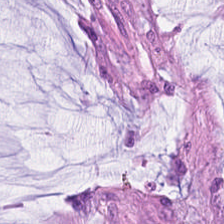Stain: hematoxylin-and-eosin stained section.
Predominant tissue: mucus.
